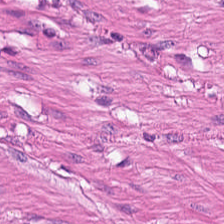H&E-stained tissue section.
Q: What does this patch show?
A: It is smooth muscle.
